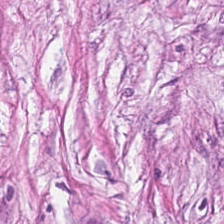0.5 µm per pixel · hematoxylin-and-eosin stained section.
The predominant tissue is tumor-associated stroma.
